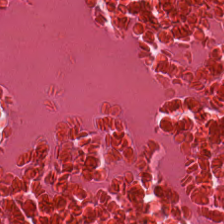H&E-stained tissue section.
Histology → cellular debris.
